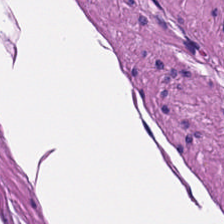Brightfield; FFPE tissue section; H&E-stained tissue section. This patch shows smooth-muscle tissue.
